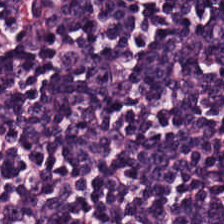The tissue here is lymphocyte aggregate.
